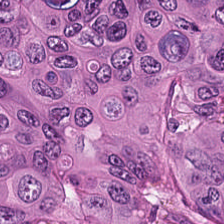Q: What is shown here?
A: This is tumor epithelium.
